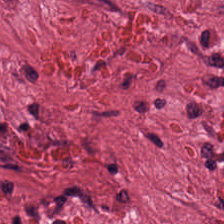224×224 px tile; hematoxylin and eosin — The tissue here is cancer-associated stroma.
